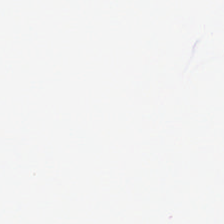Hematoxylin-and-eosin stained section — Q: What does this patch show?
A: It is empty background.
